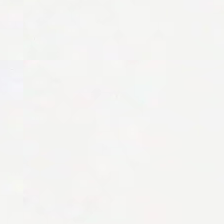Content = no tissue.
